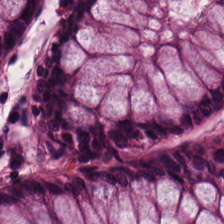H&E; brightfield.
This patch shows normal colonic mucosa.
